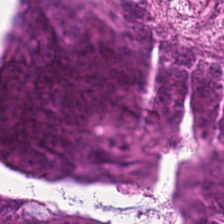This patch shows colorectal adenocarcinoma.
